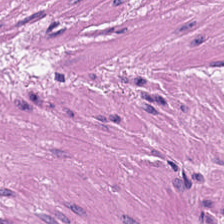FFPE tissue section; 224×224 pixel tile; hematoxylin and eosin — Q: Classify this patch.
A: The field shows muscularis.
